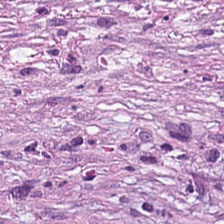Hematoxylin and eosin — Tissue = cancer-associated stroma.
